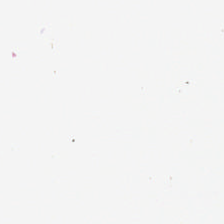The classification is background (no tissue).
